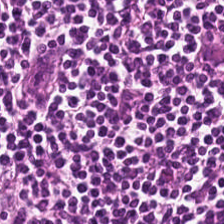Stain: H&E-stained tissue section.
Tissue: lymphocyte aggregate.
